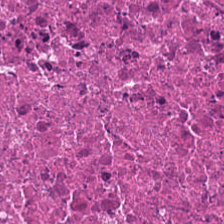H&E — This patch shows necrotic debris.
